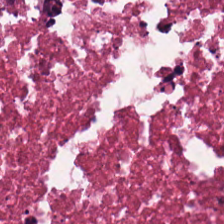FFPE; brightfield; hematoxylin-and-eosin stained section. Q: What does this patch show?
A: Debris.
